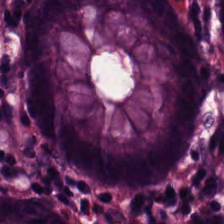Hematoxylin-and-eosin stained section. Classification: non-neoplastic colon mucosa.
